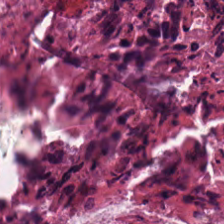H&E stain · WSI patch — The tissue here is cellular debris.
